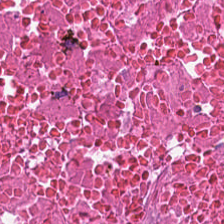H&E.
Q: Classify this patch.
A: It is necrotic debris.
